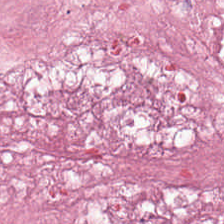Brightfield microscopy · 0.5 µm/px · H&E.
Q: Classify this patch.
A: The field shows tumor stroma.
